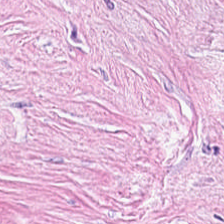Hematoxylin-and-eosin stained section · FFPE — Tissue = desmoplastic stroma.
